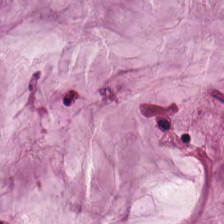Hematoxylin and eosin · WSI patch · 20× equivalent magnification. Showing mucus.
